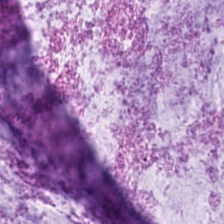Hematoxylin-and-eosin stained section; 224×224 px patch; FFPE tissue section.
Q: What is shown in this field?
A: This is mucin.
